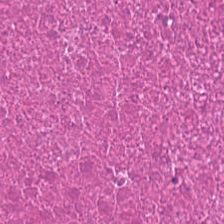H&E-stained tissue section — Impression → debris.
